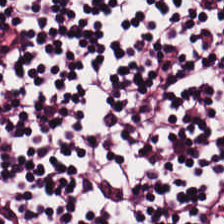Showing lymphocytic infiltrate.
